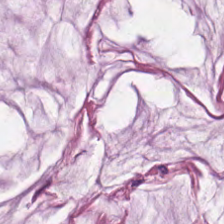Brightfield microscopy. 224×224 pixel tile. H&E-stained tissue section.
Impression → mucus.
